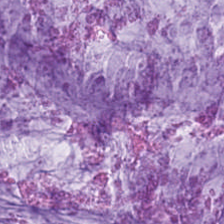Hematoxylin-and-eosin stained section. Q: What is the predominant tissue type?
A: Extracellular mucin.
